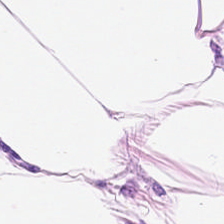Hematoxylin and eosin.
Q: Identify the tissue.
A: This is adipocytes.
